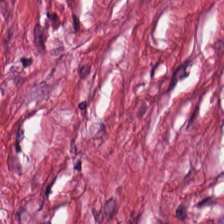Hematoxylin-and-eosin stained section. Q: Classify this patch.
A: Tumor-associated stroma.
